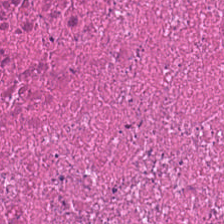H&E-stained tissue section. FFPE tissue section. Predominantly necrotic debris.
